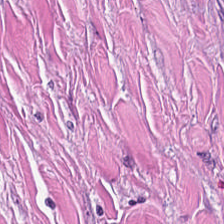Hematoxylin-and-eosin section: tumor stroma.
